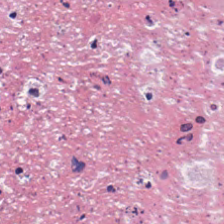Finding → necrotic debris.
